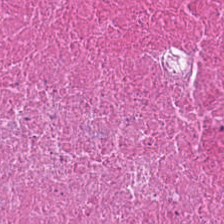H&E stain · whole-slide-image patch. This patch shows cellular debris.
